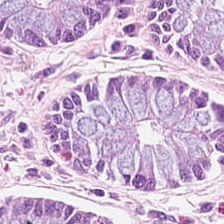The tissue class is non-neoplastic colon mucosa.
